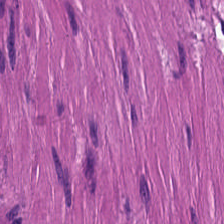FFPE tissue section; hematoxylin and eosin. Q: What does this patch show?
A: This is muscularis.
